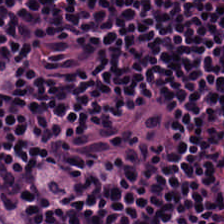Hematoxylin-and-eosin stained section.
Tissue — lymphocyte aggregate.
